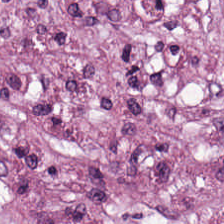Stain: H&E stain.
Classification: tumor stroma.
